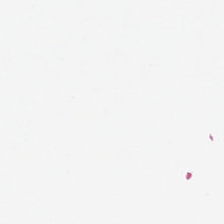Background — no tissue in this field.
